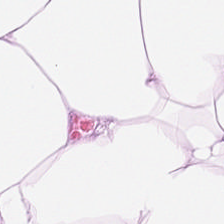H&E. Finding → adipose tissue.
